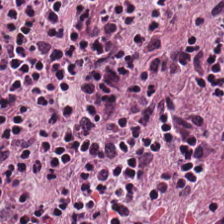Hematoxylin and eosin; 0.5 µm per pixel.
Tissue class — lymphocytic infiltrate.
